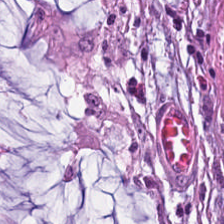0.5 µm per pixel · H&E — {"tissue_type": "mucus"}
